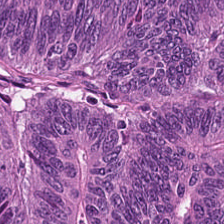H&E-stained tissue section. Whole-slide-image patch. 0.5 microns per pixel.
The tissue here is adenocarcinoma.
